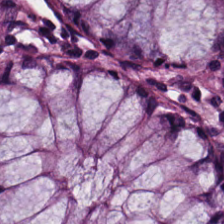Hematoxylin-and-eosin section: non-neoplastic colon mucosa.
